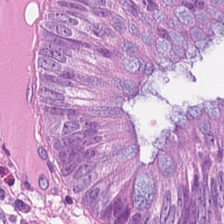FFPE tissue section. H&E-stained tissue section.
{"tissue_type": "colorectal adenocarcinoma"}
